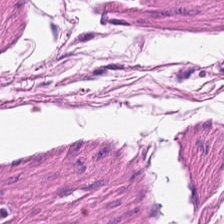H&E; brightfield microscopy — This patch shows smooth muscle.
